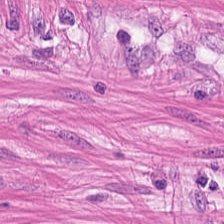H&E-stained tissue section showing muscularis.
